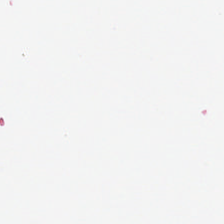Brightfield microscopy. Hematoxylin-and-eosin stained section.
Background (no tissue).
